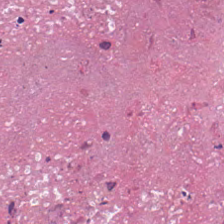Classification — debris.
